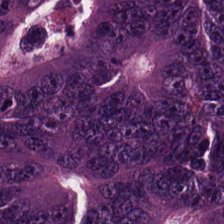Predominant tissue = colorectal adenocarcinoma epithelium.
